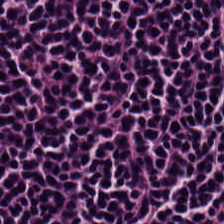Hematoxylin-and-eosin stained section. Q: What does this patch show?
A: The field shows lymphocyte aggregate.
